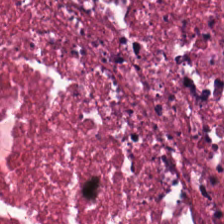This patch shows necrotic debris.
